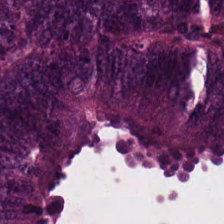Hematoxylin and eosin.
Q: What is shown here?
A: It is adenocarcinoma.
